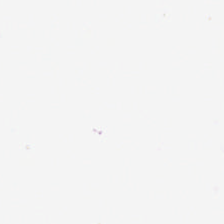Hematoxylin and eosin. Brightfield microscopy. Field content = no tissue.
